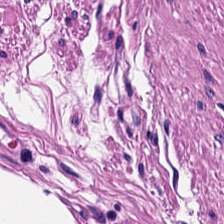Hematoxylin-and-eosin stained section — This patch shows smooth-muscle tissue.
